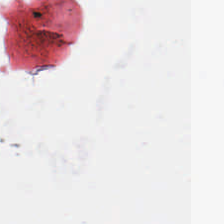FFPE; brightfield; H&E stain.
The field content is no tissue.
